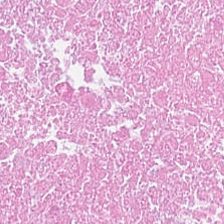H&E — The classification is cellular debris.
